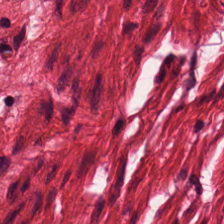H&E-stained tissue section. This patch shows muscularis.
